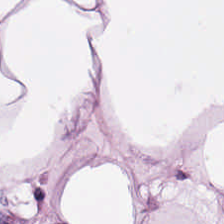0.5 µm/px · H&E-stained tissue section · 224×224 px patch. Predominant tissue: adipocytes.
